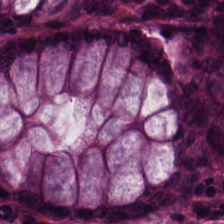Tissue: normal colon mucosa.
